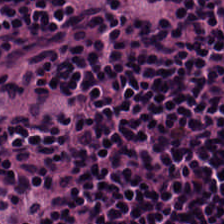H&E — Histology — lymphoid infiltrate.
